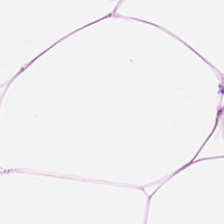H&E stain. Q: What does this patch show?
A: This is adipose tissue.
